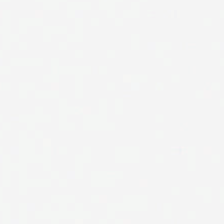Whole-slide-image patch · H&E-stained tissue section. Content: background.
